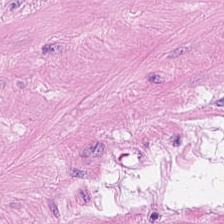Stain: H&E-stained tissue section.
Tissue class: smooth muscle.
